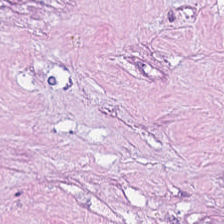H&E stain · FFPE · WSI patch — This field is debris.
